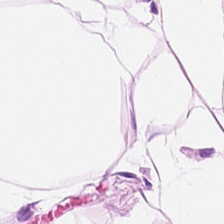Hematoxylin-and-eosin stained section. 0.5 µm/px. This field is fat tissue.
